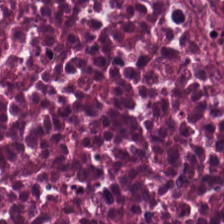The classification is necrotic debris.
